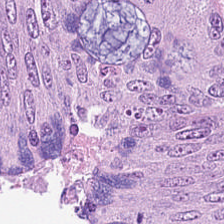Hematoxylin-and-eosin stained section; FFPE tissue section.
Tissue type: colorectal adenocarcinoma.
